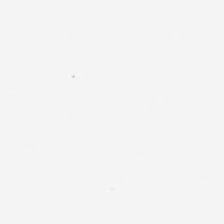H&E-stained tissue section — Content: empty background.
